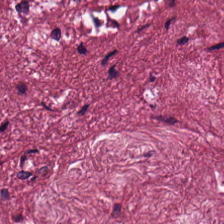H&E — Histology → desmoplastic stroma.
